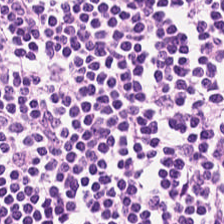H&E-stained tissue section. 224×224 px patch. Brightfield microscopy — Predominantly lymphocytic infiltrate.
